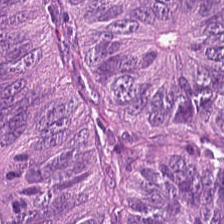The tissue is adenocarcinoma.
